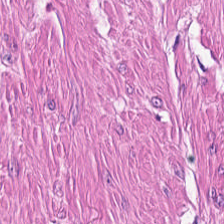H&E stain. Q: What is shown in this field?
A: Smooth-muscle tissue.
